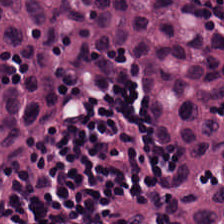Hematoxylin and eosin; formalin-fixed paraffin-embedded section — Predominantly lymphocytic infiltrate.
